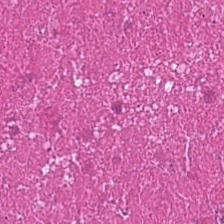Finding → necrotic debris.
